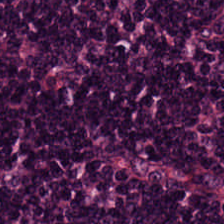Stain: H&E-stained tissue section.
Tissue class: lymphocytic infiltrate.
